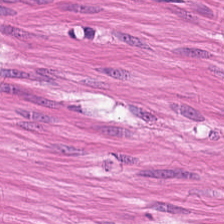H&E — Smooth muscle.
